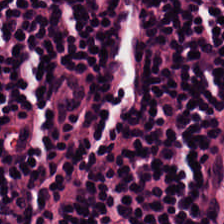This patch shows lymphocytes.
